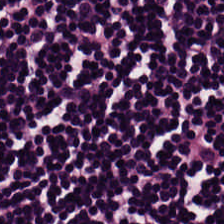H&E-stained tissue section. The tissue is lymphocytic infiltrate.
